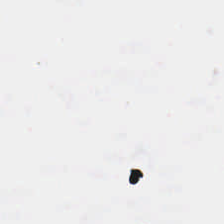H&E stain. FFPE tissue section.
Content = background (no tissue).
